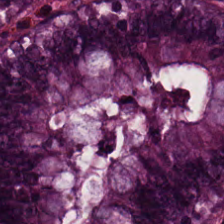H&E stain. Q: Classify this patch.
A: The field shows benign colonic mucosa.
